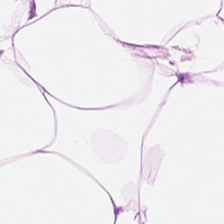{"tissue_type": "adipose"}
